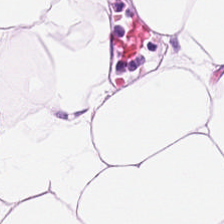H&E stain. The tissue here is adipocytes.
